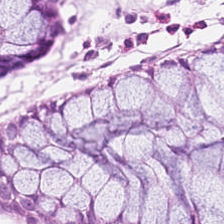Hematoxylin and eosin. Predominantly benign colonic mucosa.
